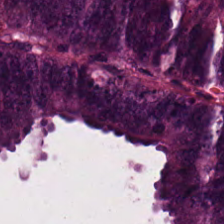FFPE tissue section. H&E-stained tissue section — The predominant tissue is colorectal adenocarcinoma.
